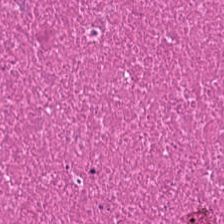Formalin-fixed paraffin-embedded section; H&E; 224×224 px tile.
Finding → cellular debris.
